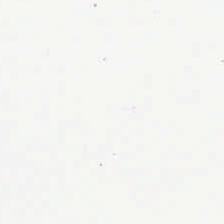Q: What is shown in this field?
A: This is empty background.
